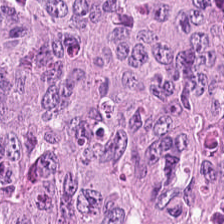H&E stain — Histology → colorectal adenocarcinoma epithelium.
